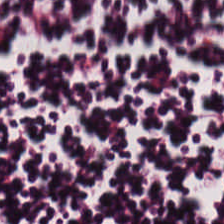Brightfield microscopy; H&E. Predominantly lymphoid infiltrate.
